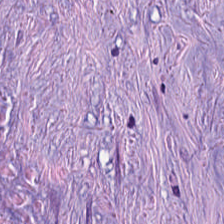H&E-stained tissue section — Tissue type = desmoplastic stroma.
